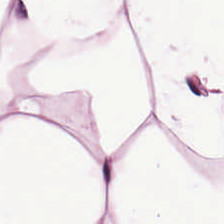Stain: H&E.
Preparation: formalin-fixed paraffin-embedded section.
Classification: adipose.
